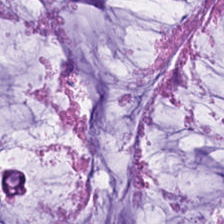Stain: hematoxylin and eosin.
Classification: extracellular mucin.
